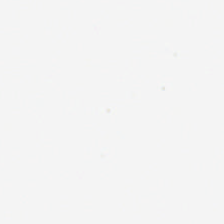20× equivalent magnification. H&E stain.
{"content": "background"}
